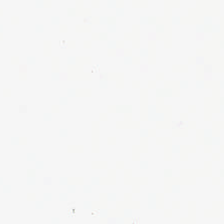0.5 µm/px. H&E stain — {"content": "background"}
